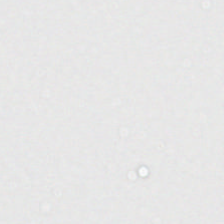Hematoxylin and eosin. FFPE tissue section. 0.5 µm/px.
Field content — background (no tissue).
